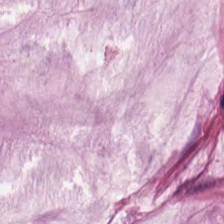H&E stain.
Impression → extracellular mucin.
